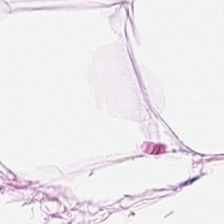Histology — fat tissue.
